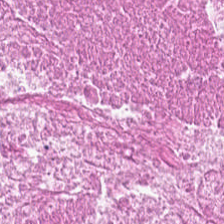H&E stain. Formalin-fixed paraffin-embedded section. Predominantly cellular debris.
